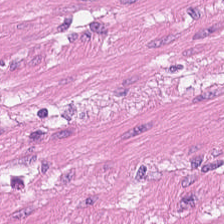Stain: H&E.
Predominant tissue: smooth-muscle tissue.
